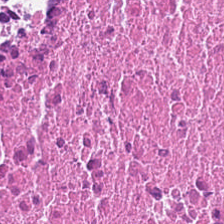Predominant tissue: cellular debris.
